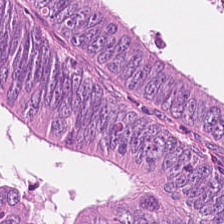H&E.
Q: What tissue is shown?
A: The field shows tumor epithelium.
